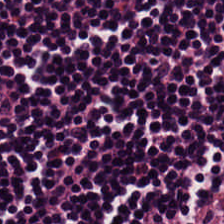H&E-stained tissue section showing lymphoid infiltrate.
